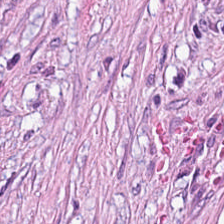This field is desmoplastic stroma.
